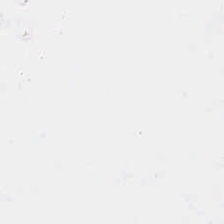Hematoxylin-and-eosin stained section. This patch shows no tissue.
